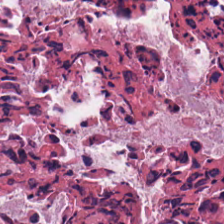Hematoxylin-and-eosin stained section.
Impression — necrotic debris.
